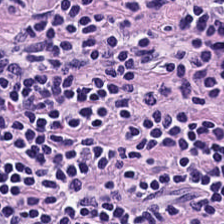The tissue here is lymphocyte aggregate.
